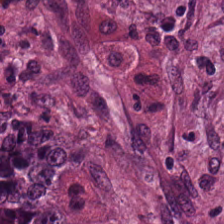Stain: hematoxylin-and-eosin stained section.
Tissue type: tumor-associated stroma.
